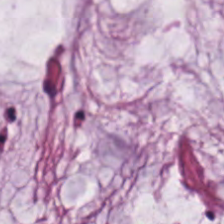H&E; formalin-fixed paraffin-embedded section.
Extracellular mucin.
